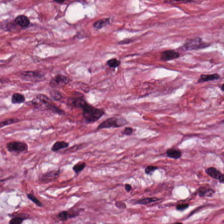{"tissue_type": "desmoplastic stroma"}
